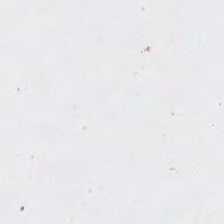Brightfield · H&E — Background.
